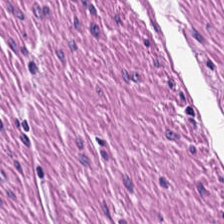This field is smooth muscle.
